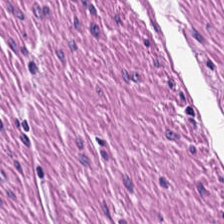This field is smooth muscle.
